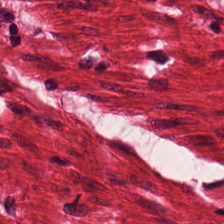Showing smooth muscle.
